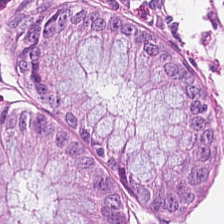Hematoxylin and eosin — The tissue class is normal colonic mucosa.
